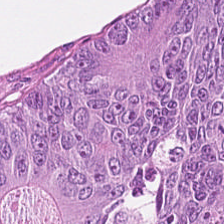H&E stain. Impression — tumor epithelium.
